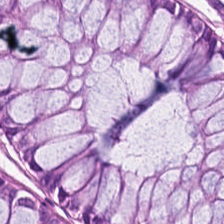H&E stain · 224×224 px patch. The predominant tissue is non-neoplastic colon mucosa.
